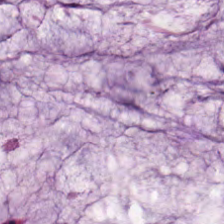H&E stain · 0.5 µm/px.
Mucin.
